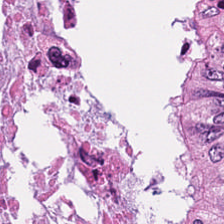Formalin-fixed paraffin-embedded section. Hematoxylin and eosin. Finding — debris.
